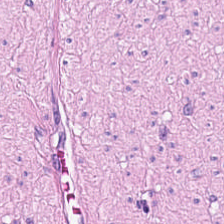H&E · FFPE tissue section — Tissue type: muscularis.
